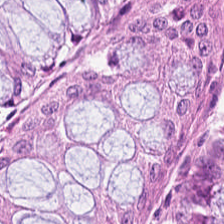H&E-stained tissue section — Tissue type = normal colon mucosa.
